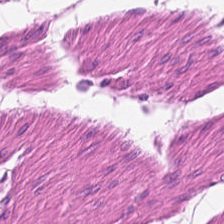H&E; 0.5 microns per pixel — This patch shows smooth-muscle tissue.
